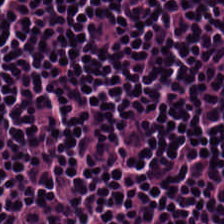Formalin-fixed paraffin-embedded section; hematoxylin-and-eosin stained section.
Histology → lymphocyte aggregate.
